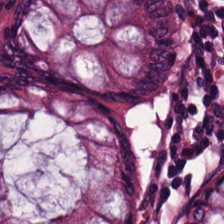Classification = normal colon mucosa.
